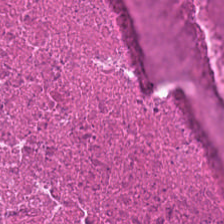Formalin-fixed paraffin-embedded section. H&E-stained tissue section.
{"tissue_type": "debris"}
